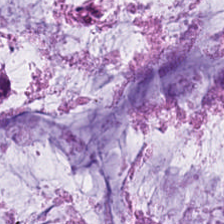Hematoxylin-and-eosin stained section — The tissue here is mucin.
